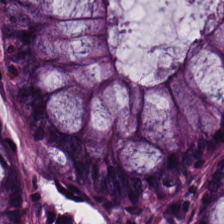This patch shows normal colon mucosa.
